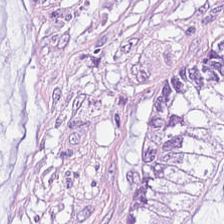H&E-stained tissue section — {"tissue_type": "mucin"}
